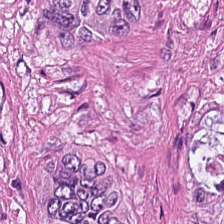The tissue class is colorectal adenocarcinoma.
